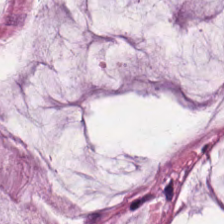H&E-stained tissue section; FFPE tissue section; WSI patch. This patch shows mucin.
